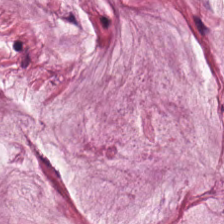224×224 pixel tile · H&E stain · FFPE tissue section.
Q: What tissue type is shown here?
A: Extracellular mucin.
